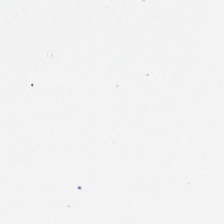Q: What does this patch show?
A: Empty background.
